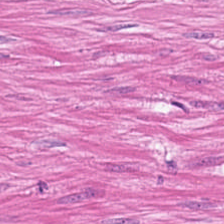Classification — muscularis.
